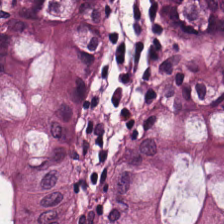The predominant tissue is normal colonic mucosa.
